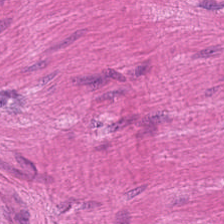Hematoxylin and eosin.
{"tissue_type": "smooth-muscle tissue"}
